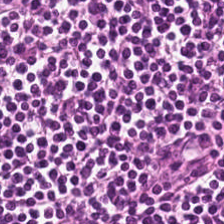H&E. Q: What is the predominant tissue type?
A: This is lymphocytes.
